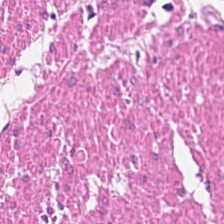Stain: H&E stain.
Tissue type: smooth-muscle tissue.
